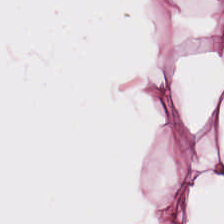20× equivalent magnification; H&E stain.
Q: What does this patch show?
A: The field shows adipose tissue.
